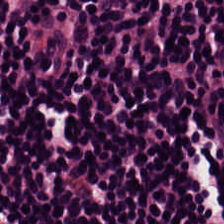H&E.
The tissue here is lymphocytic infiltrate.
